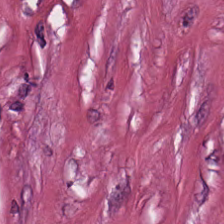H&E; 0.5 µm/px — The predominant tissue is desmoplastic stroma.
